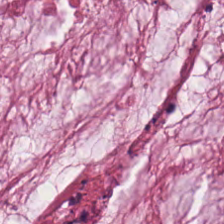Hematoxylin and eosin.
Q: Classify this patch.
A: The field shows mucin.
